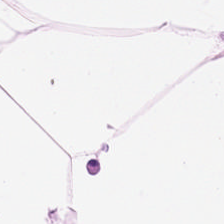H&E stain.
The tissue is fat tissue.
